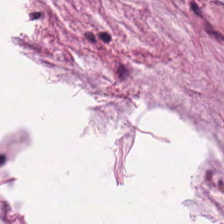Hematoxylin and eosin. Mucin.
